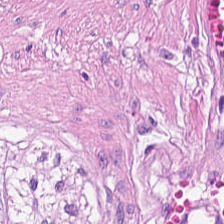H&E-stained tissue section; WSI patch; 0.5 microns per pixel — Predominantly muscularis.
